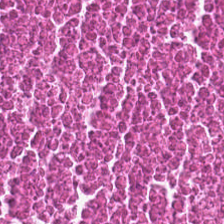0.5 microns per pixel · 224×224 px patch · hematoxylin-and-eosin stained section.
Q: What is shown in this field?
A: The field shows debris.
